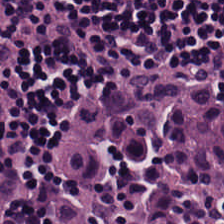Stain: H&E.
Resolution: 0.5 microns per pixel.
Preparation: FFPE tissue section.
Predominant tissue: lymphocytic infiltrate.
